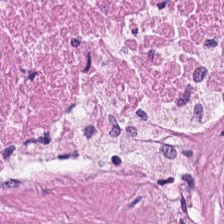H&E stain.
The tissue here is cellular debris.
